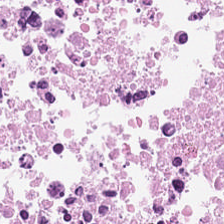H&E-stained tissue section — The tissue type is cellular debris.
